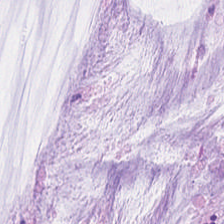Stain: H&E-stained tissue section.
Predominant tissue: extracellular mucin.
